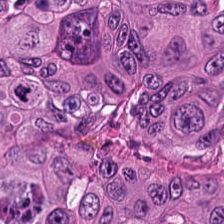H&E. Histology — colorectal adenocarcinoma.
